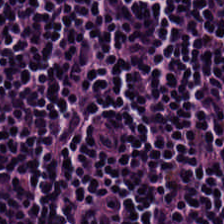FFPE tissue section · hematoxylin and eosin · brightfield microscopy — The tissue class is lymphocyte aggregate.
